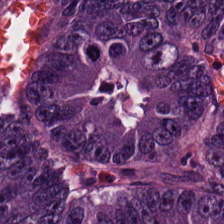H&E.
Q: What tissue is shown?
A: It is adenocarcinoma.
